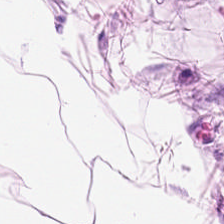H&E-stained tissue section. The predominant tissue is adipocytes.
